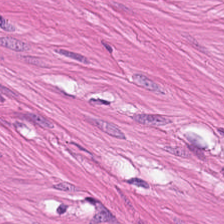H&E. FFPE — This field is smooth-muscle tissue.
